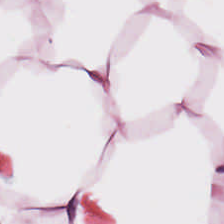H&E-stained tissue section. Tissue class = adipose.
